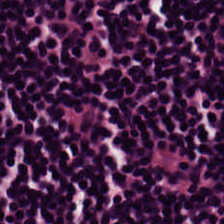H&E stain — {"tissue_type": "lymphocytes"}
